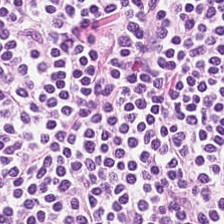Stain: H&E.
Tissue type: lymphocytes.
